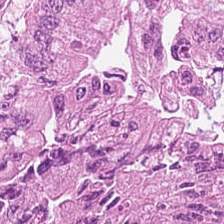Finding → colorectal adenocarcinoma.
